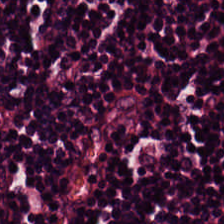Hematoxylin-and-eosin stained section.
The predominant tissue is lymphoid infiltrate.
